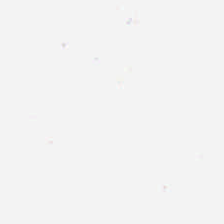Whole-slide-image patch; hematoxylin-and-eosin stained section; 224×224 px patch. No tissue present; background only.
